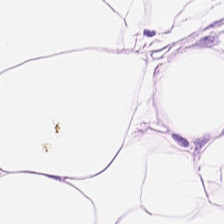224×224 px patch · hematoxylin and eosin.
Q: What is the predominant tissue type?
A: It is adipose.
